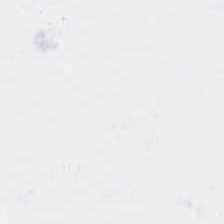Stain: H&E stain.
Field content: background (no tissue).
